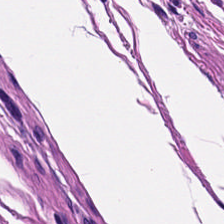This field is smooth-muscle tissue.
